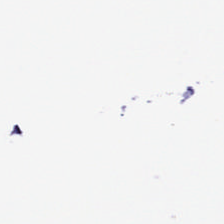Classification: no tissue.
